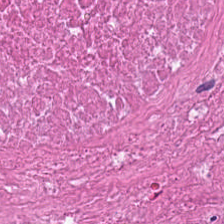H&E stain; brightfield. Predominantly debris.
